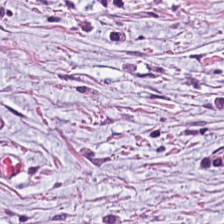0.5 µm/px; hematoxylin-and-eosin stained section; 224×224 pixel tile. Tissue class = tumor-associated stroma.
